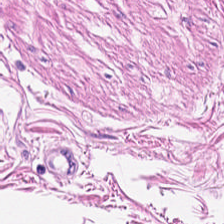Hematoxylin-and-eosin stained section.
Classification = smooth-muscle tissue.
